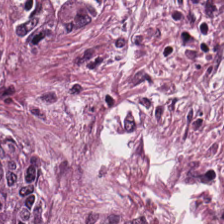H&E-stained section; the field shows colorectal adenocarcinoma.
